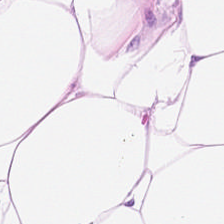H&E stain · formalin-fixed paraffin-embedded section — {"tissue_type": "fat tissue"}
